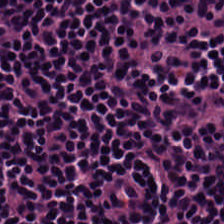20× equivalent magnification · hematoxylin and eosin.
Q: What tissue type is shown here?
A: This is lymphocytic infiltrate.
